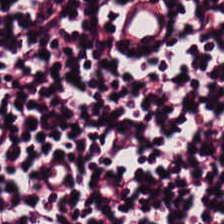Hematoxylin-and-eosin stained section; 224×224 pixel tile.
Q: What tissue is shown?
A: It is lymphocyte aggregate.
